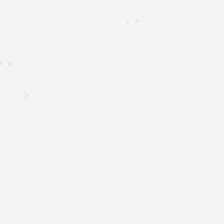Q: Classify this patch.
A: This is no tissue.
